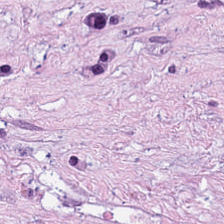Brightfield. 0.5 µm/px. H&E stain. Finding → tumor-associated stroma.
